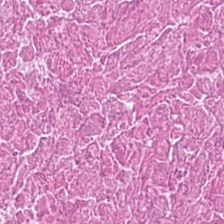H&E. This field is necrotic debris.
